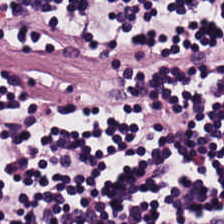Impression — lymphoid infiltrate.
